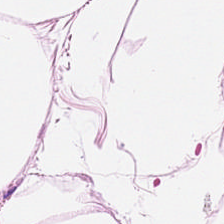H&E-stained tissue section; formalin-fixed paraffin-embedded section; 224×224 px patch. Predominantly fat tissue.
